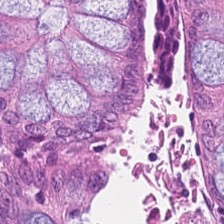Formalin-fixed paraffin-embedded section. H&E stain — This field is normal colon mucosa.
